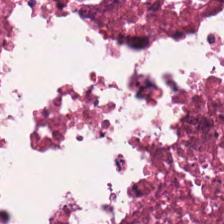Hematoxylin and eosin; FFPE.
This patch shows necrotic debris.
